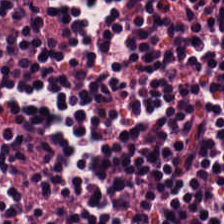Hematoxylin and eosin.
Tissue class = lymphocytes.
